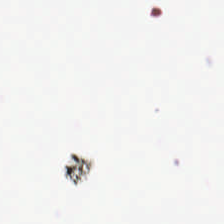224×224 px patch · hematoxylin-and-eosin stained section.
Histology — background.
